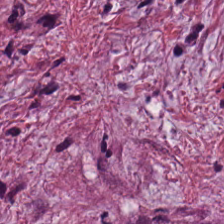H&E-stained tissue section.
Finding → tumor-associated stroma.
